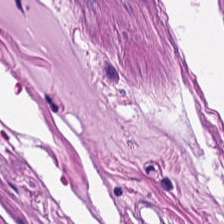H&E.
Impression → smooth muscle.
